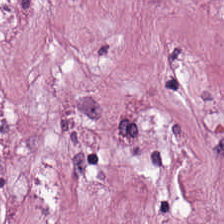H&E-stained tissue section. Tumor stroma.
